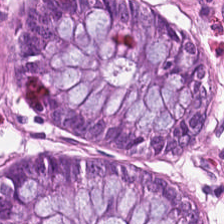H&E-stained tissue section · 224×224 px tile. The tissue here is non-neoplastic colon mucosa.
